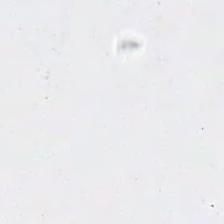224×224 pixel tile. H&E stain. This field is background (no tissue).
